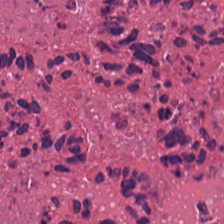Hematoxylin and eosin — Tissue class — cellular debris.
